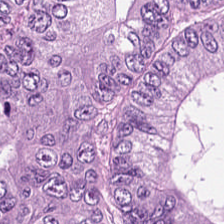Formalin-fixed paraffin-embedded section · hematoxylin-and-eosin stained section.
Q: What is shown here?
A: The field shows malignant epithelium.
